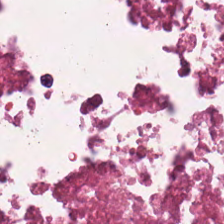Brightfield. H&E-stained tissue section.
This patch shows cellular debris.
